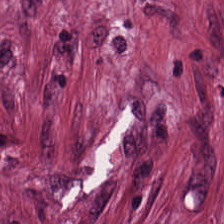Stain: hematoxylin and eosin.
Tissue type: cancer-associated stroma.
